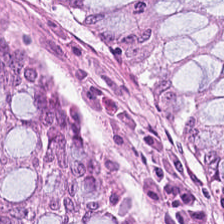H&E — Benign colonic mucosa.
